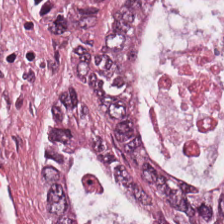FFPE tissue section. H&E — Tissue: malignant epithelium.
